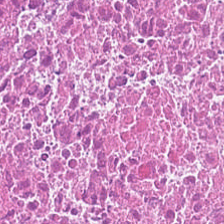Hematoxylin and eosin.
Predominant tissue = cellular debris.
